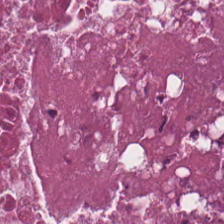Hematoxylin-and-eosin stained section — Tissue type = cellular debris.
